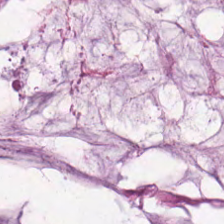Brightfield microscopy. 0.5 microns per pixel. H&E — This patch shows mucus.
